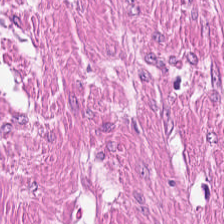H&E-stained tissue section · FFPE tissue section. The classification is smooth-muscle tissue.
